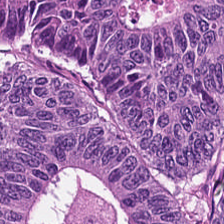224×224 px patch. Brightfield. H&E-stained tissue section. This patch shows tumor epithelium.
